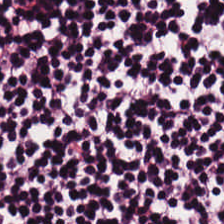Tissue class: lymphoid infiltrate.
